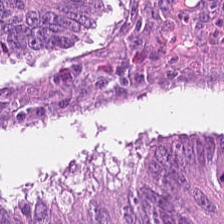H&E. Q: What does this patch show?
A: This is tumor epithelium.
